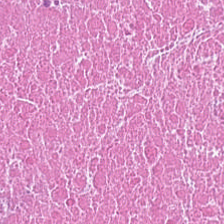Hematoxylin-and-eosin stained section. Q: What is shown here?
A: The field shows debris.
